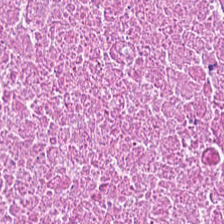FFPE. 224×224 px tile. Hematoxylin-and-eosin stained section.
Classification: necrotic debris.
